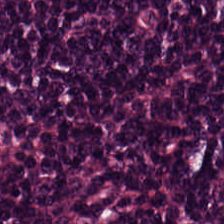224×224 px tile. FFPE tissue section. Hematoxylin-and-eosin stained section. Lymphoid infiltrate.
